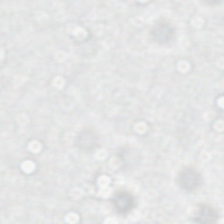H&E-stained tissue section. Field content: no tissue.
